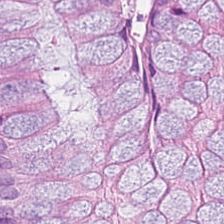H&E. Finding → benign colonic mucosa.
